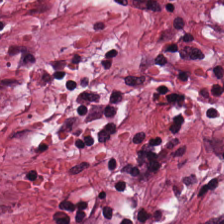Hematoxylin and eosin — This patch shows tumor stroma.
